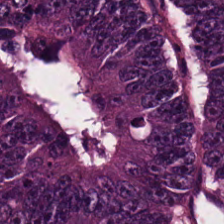Whole-slide-image patch · hematoxylin-and-eosin stained section. The predominant tissue is tumor epithelium.
